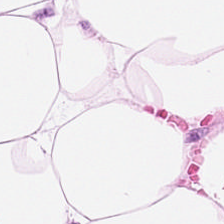Classification — adipocytes.
